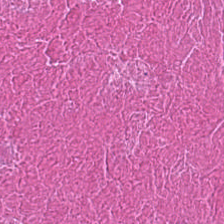The classification is cellular debris.
